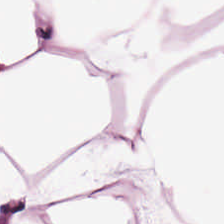FFPE · 0.5 microns per pixel · hematoxylin-and-eosin stained section.
This field is adipose.
